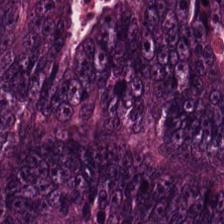{"tissue_type": "colorectal adenocarcinoma"}
